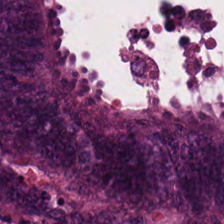Hematoxylin and eosin · formalin-fixed paraffin-embedded section. Tissue class: malignant epithelium.
